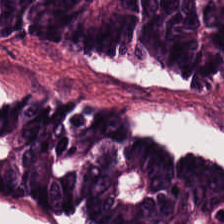H&E stain. The tissue class is colorectal adenocarcinoma.
